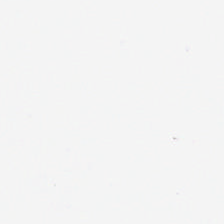Hematoxylin and eosin. 0.5 µm per pixel. 224×224 px tile — This patch shows empty background.
